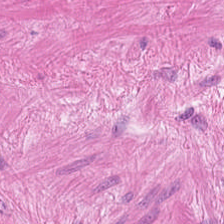This field is smooth-muscle tissue.
